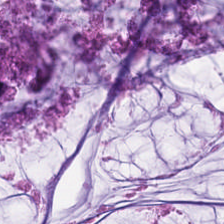Stain: hematoxylin and eosin.
Preparation: formalin-fixed paraffin-embedded section.
Classification: mucus.
